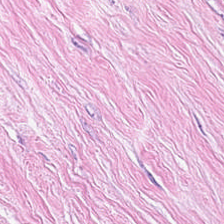Stain: H&E-stained tissue section.
Tile size: 224×224 px patch.
Tissue class: tumor-associated stroma.
